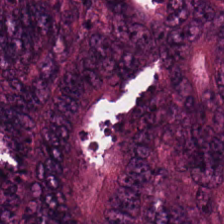Stain: hematoxylin and eosin.
Resolution: 20× equivalent magnification.
Predominant tissue: colorectal adenocarcinoma.
